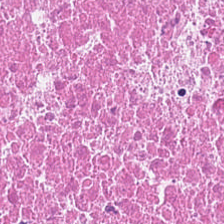Impression → necrotic debris.
